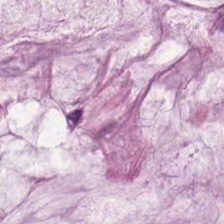0.5 µm per pixel. Hematoxylin-and-eosin stained section.
Impression — mucin.
